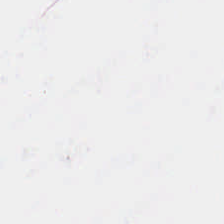H&E. Field content — background (no tissue).
